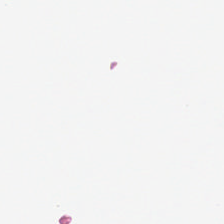H&E.
This patch shows background (no tissue).
